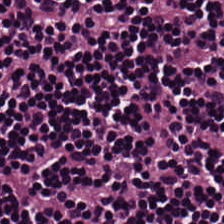H&E stain — Q: What tissue is shown?
A: The field shows lymphocytes.
